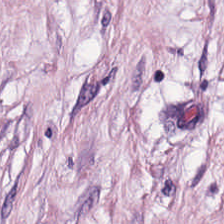Hematoxylin-and-eosin stained section — Impression — tumor-associated stroma.
